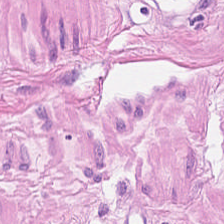FFPE tissue section · brightfield · H&E. Tissue class — muscularis.
